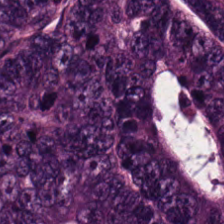H&E-stained tissue section.
Q: What tissue type is shown here?
A: It is tumor epithelium.
